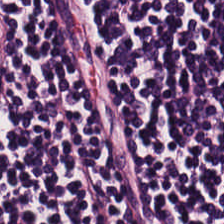Hematoxylin and eosin · 0.5 µm/px. Classification — lymphocytic infiltrate.
